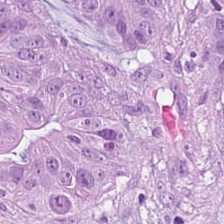Hematoxylin and eosin — The classification is malignant epithelium.
